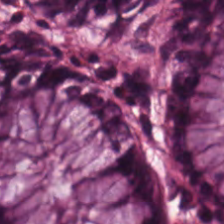Stain: hematoxylin and eosin.
Tissue type: normal colonic mucosa.
